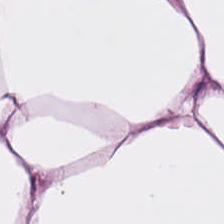Brightfield. H&E-stained tissue section — Q: What does this patch show?
A: The field shows fat tissue.
